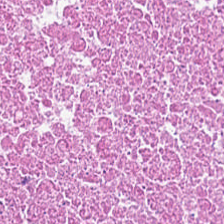Stain: H&E stain.
Tile size: 224×224 px patch.
Tissue: debris.
